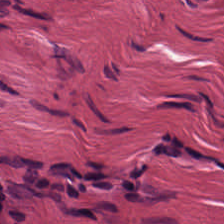H&E.
The predominant tissue is desmoplastic stroma.
